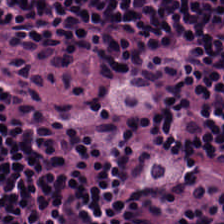Tissue = lymphocytes.
